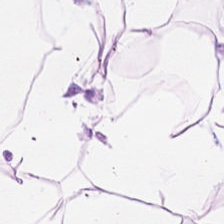H&E stain.
This patch shows adipose tissue.
